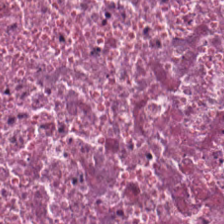Hematoxylin-and-eosin stained section.
Finding — cellular debris.
